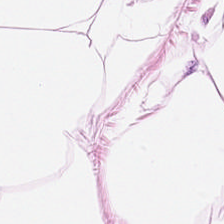The predominant tissue is fat tissue.
